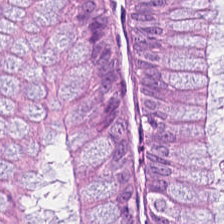Formalin-fixed paraffin-embedded section · hematoxylin-and-eosin stained section · 224×224 px tile.
The predominant tissue is benign colonic mucosa.
